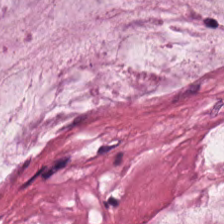Hematoxylin and eosin; FFPE tissue section.
Predominant tissue: mucin.
